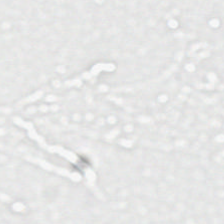0.5 µm/px · H&E stain. Empty field — background (no tissue).
